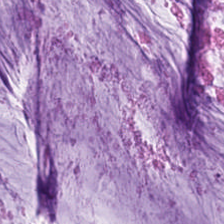0.5 microns per pixel · hematoxylin-and-eosin stained section.
This field is mucus.
